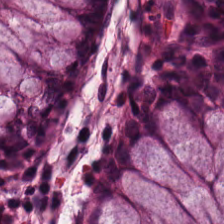Formalin-fixed paraffin-embedded section; H&E-stained tissue section; 224×224 pixel tile — Impression — normal colonic mucosa.
